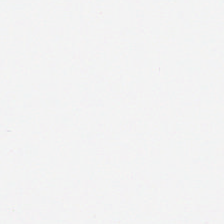This field is background (no tissue).
